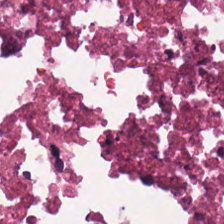H&E — debris.
